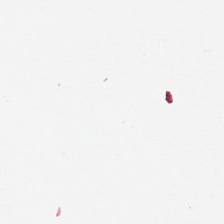Q: What does this patch show?
A: This is background.
